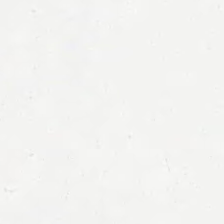Stain: hematoxylin-and-eosin stained section.
Preparation: FFPE tissue section.
Acquisition: brightfield microscopy.
Content: background.
